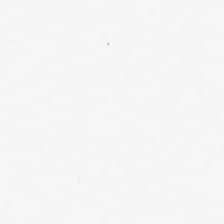Hematoxylin and eosin.
Background.
